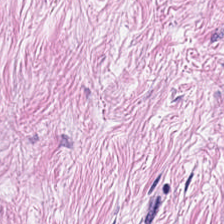Stain: hematoxylin-and-eosin stained section.
Acquisition: whole-slide-image patch.
Tissue: cancer-associated stroma.
